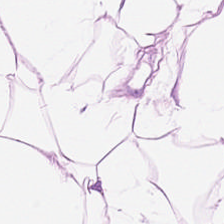Hematoxylin-and-eosin section: adipose.
